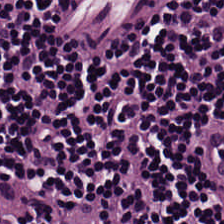H&E stain. This patch shows lymphocytes.
